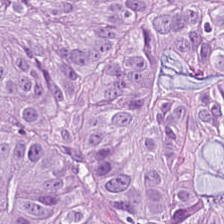Adenocarcinoma.
